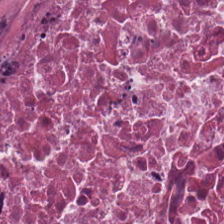H&E.
Tissue class: necrotic debris.
